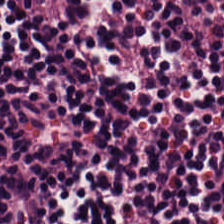H&E-stained tissue section; 224×224 px patch — Q: What tissue type is shown here?
A: This is lymphocytic infiltrate.
